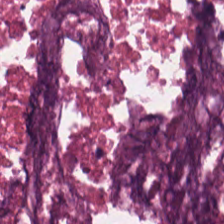H&E · brightfield microscopy. This patch shows necrotic debris.
